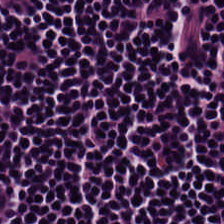224×224 px patch. FFPE. H&E.
Histology — lymphocytes.
